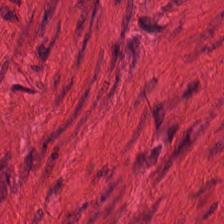0.5 microns per pixel; H&E.
The tissue class is smooth-muscle tissue.
